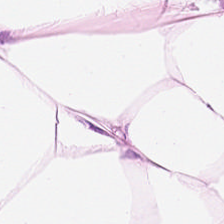0.5 microns per pixel. Hematoxylin and eosin. This patch shows adipose.
